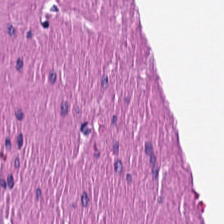Tissue type: smooth muscle.
